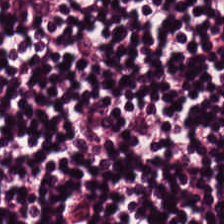0.5 µm per pixel; hematoxylin and eosin; 224×224 px patch. Q: What tissue type is shown here?
A: This is lymphocyte aggregate.
